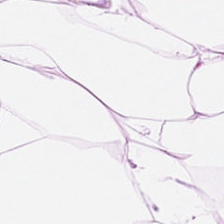Stain: hematoxylin-and-eosin stained section.
Classification: adipose tissue.
